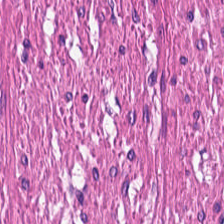Classification — muscularis.
